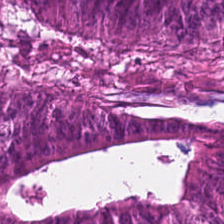H&E-stained tissue section. Tissue type — malignant epithelium.
